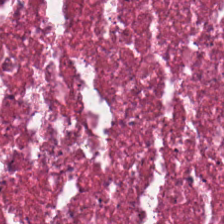FFPE tissue section. H&E stain — Q: What is the predominant tissue type?
A: This is cellular debris.
